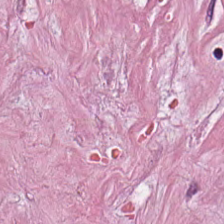H&E stain.
Q: What tissue type is shown here?
A: The field shows desmoplastic stroma.
